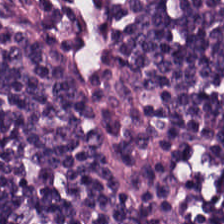Hematoxylin-and-eosin stained section — Q: What type of tissue is this?
A: The field shows lymphocyte aggregate.
